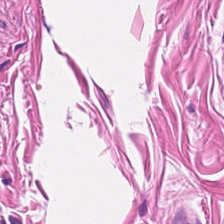0.5 µm/px; hematoxylin-and-eosin stained section; FFPE tissue section — The classification is smooth muscle.
